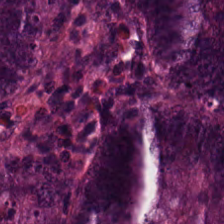224×224 pixel tile; 0.5 microns per pixel; H&E-stained tissue section.
Classification — colorectal adenocarcinoma epithelium.
